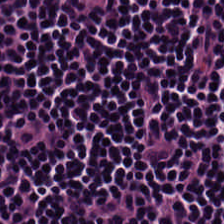H&E-stained tissue section. Tissue — lymphocytes.
